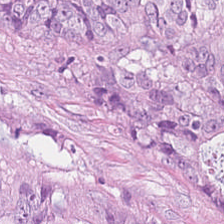This patch shows adenocarcinoma.
